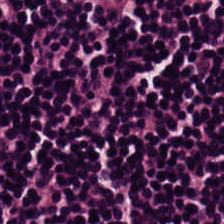Hematoxylin and eosin. The predominant tissue is lymphocyte aggregate.
